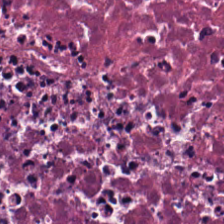Brightfield · 0.5 µm/px · hematoxylin and eosin. This field is necrotic debris.
